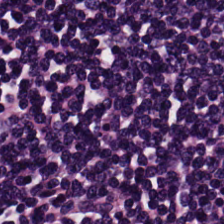Q: Classify this patch.
A: This is lymphoid infiltrate.
